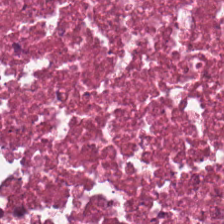H&E.
Histology → debris.
